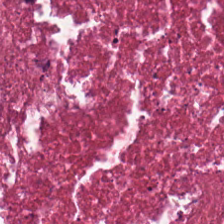H&E-stained tissue section. 0.5 microns per pixel — Tissue — necrotic debris.
